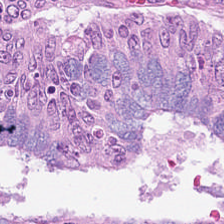Stain: H&E-stained tissue section.
Resolution: 0.5 µm per pixel.
Classification: colorectal adenocarcinoma epithelium.
